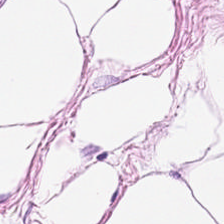H&E stain.
The classification is adipocytes.
